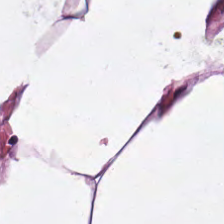H&E stain. Predominant tissue = adipose.
